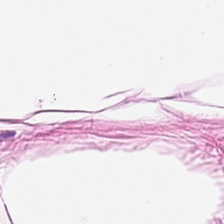H&E patch showing fat tissue.
